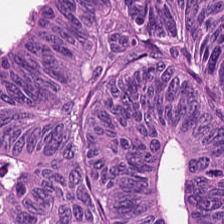Q: What is the predominant tissue type?
A: It is colorectal adenocarcinoma epithelium.
